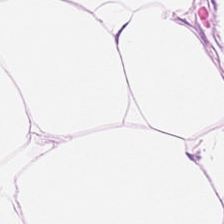Classification — adipocytes.
